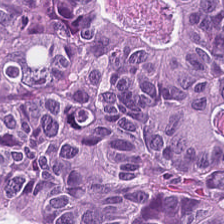Histology → adenocarcinoma.
